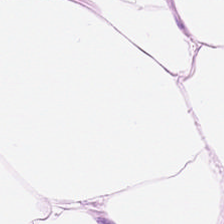Hematoxylin and eosin.
The tissue is adipocytes.
